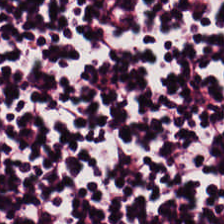H&E-stained tissue section. 0.5 microns per pixel. Q: What is the predominant tissue type?
A: This is lymphocyte aggregate.
